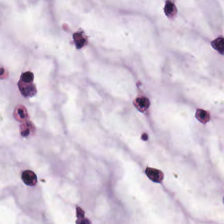H&E stain — {"tissue_type": "mucus"}
